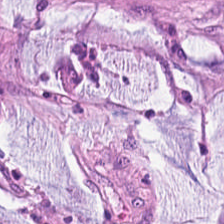H&E — Showing mucin.
